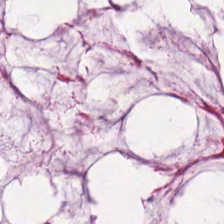Hematoxylin and eosin. 224×224 px tile.
Predominant tissue = mucin.
